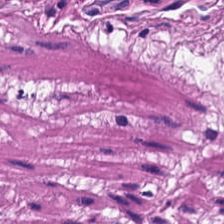Brightfield. H&E — Smooth muscle.
